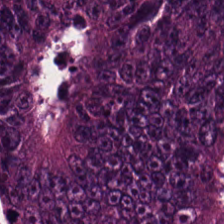20× equivalent magnification. H&E stain — Finding — colorectal adenocarcinoma.
